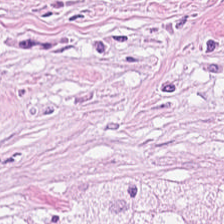H&E — Predominantly cancer-associated stroma.
